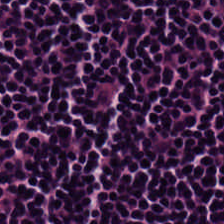H&E stain.
Q: What is the predominant tissue type?
A: The field shows lymphoid infiltrate.
